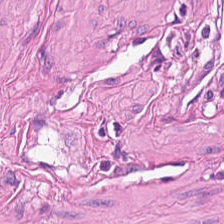0.5 microns per pixel. H&E-stained tissue section. Tissue class: smooth muscle.
